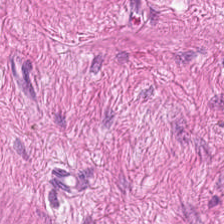Histology → smooth muscle.
